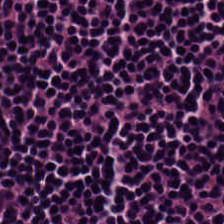224×224 px tile. H&E. 0.5 µm per pixel.
Tissue class = lymphocytic infiltrate.
